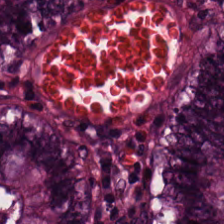Hematoxylin and eosin. 0.5 µm per pixel. Formalin-fixed paraffin-embedded section. The tissue class is benign colonic mucosa.
